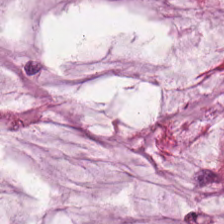224×224 px patch. Brightfield. H&E stain — The predominant tissue is mucin.
